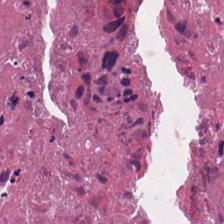H&E. Q: What does this patch show?
A: It is debris.
